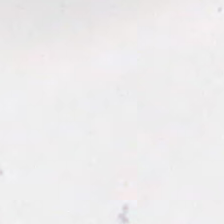Hematoxylin-and-eosin stained section · 0.5 µm/px — Histology — no tissue.
